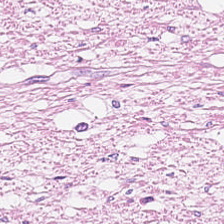Hematoxylin-and-eosin stained section.
Q: What is shown here?
A: It is smooth muscle.
